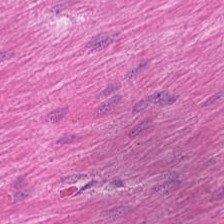H&E stain · 20× equivalent magnification — This field is smooth-muscle tissue.
